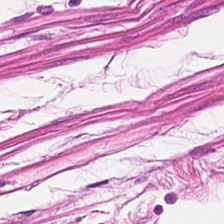H&E-stained tissue section. Smooth-muscle tissue.
